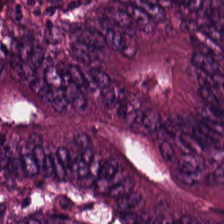Hematoxylin and eosin. Showing colorectal adenocarcinoma.
